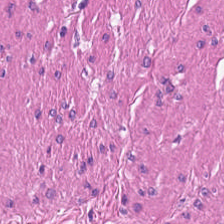H&E — Classification — smooth-muscle tissue.
